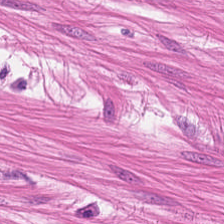0.5 µm/px · FFPE · hematoxylin and eosin.
Classification: smooth muscle.
